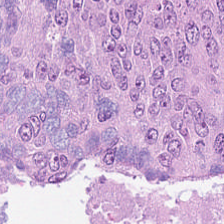The tissue here is colorectal adenocarcinoma.
